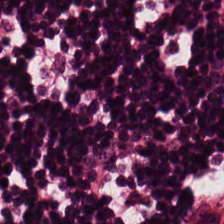Tissue type = lymphocytic infiltrate.
